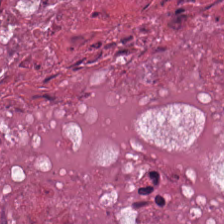Hematoxylin and eosin.
This field is necrotic debris.
